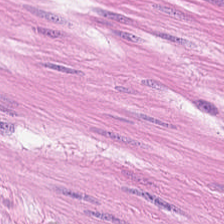H&E stain.
Q: What tissue is shown?
A: This is smooth muscle.
